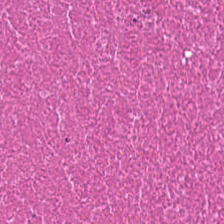Stain: H&E-stained tissue section.
Preparation: FFPE tissue section.
Tile size: 224×224 px tile.
Tissue: cellular debris.
